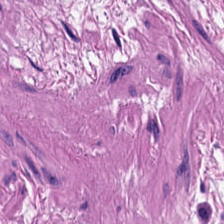Hematoxylin and eosin. Formalin-fixed paraffin-embedded section. Tissue — smooth-muscle tissue.
